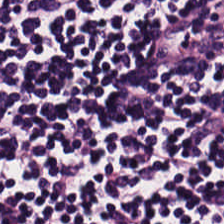H&E-stained tissue section · FFPE.
Showing lymphocytes.
